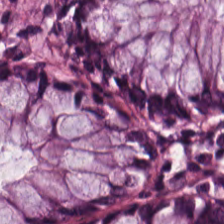H&E-stained tissue section — Benign colonic mucosa.
